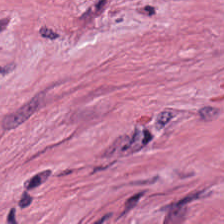Finding — cancer-associated stroma.
